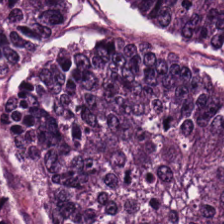Q: What does this patch show?
A: It is tumor epithelium.
